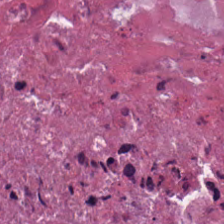H&E-stained tissue section · 0.5 microns per pixel — This field is debris.
